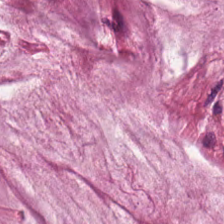Stain: H&E stain.
Acquisition: WSI patch.
Tissue class: mucus.
